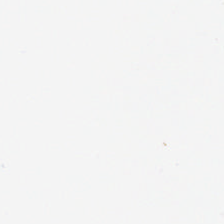WSI patch. H&E stain.
This field is background (no tissue).
